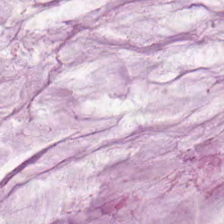H&E stain · 0.5 µm/px.
Showing mucus.
